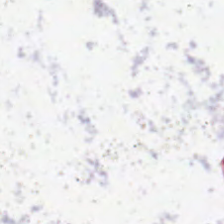Stain: H&E stain.
Classification: no tissue.
